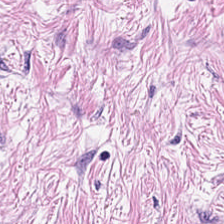224×224 px tile · H&E stain.
Q: What tissue is shown?
A: It is tumor-associated stroma.
